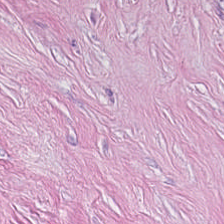H&E-stained tissue section · FFPE.
Impression — cancer-associated stroma.
